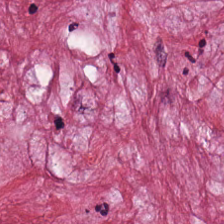Hematoxylin and eosin.
Tissue type — cancer-associated stroma.
